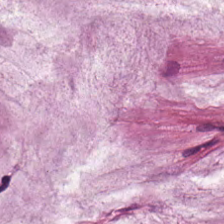The predominant tissue is extracellular mucin.
